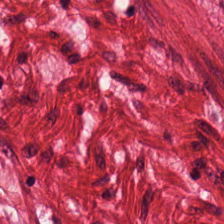Hematoxylin-and-eosin stained section — This field is smooth muscle.
